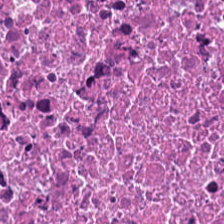Brightfield; H&E stain. The predominant tissue is debris.
